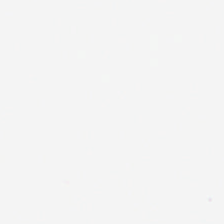Histology — background.
